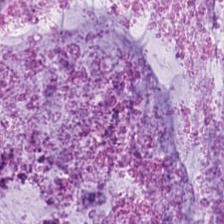Tissue class: extracellular mucin.
